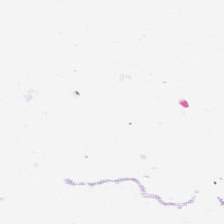H&E stain.
Classification = no tissue.
